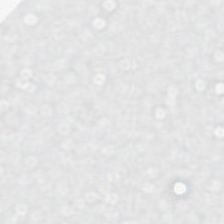H&E. Finding → background (no tissue).
